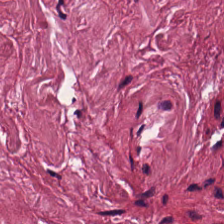H&E.
Q: What is the predominant tissue type?
A: The field shows tumor-associated stroma.
